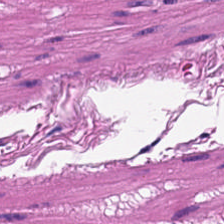0.5 µm per pixel; hematoxylin-and-eosin stained section; 224×224 px patch — Predominantly smooth-muscle tissue.
